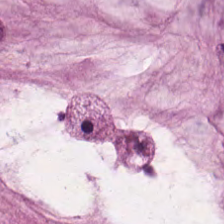Hematoxylin-and-eosin stained section · FFPE. Q: What is shown here?
A: This is extracellular mucin.
